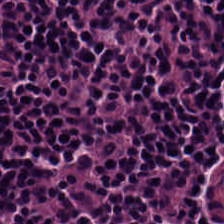Hematoxylin-and-eosin stained section · whole-slide-image patch · formalin-fixed paraffin-embedded section — The tissue type is lymphocyte aggregate.
